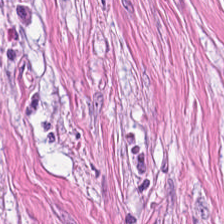Hematoxylin and eosin · 0.5 microns per pixel. Tissue class: desmoplastic stroma.
